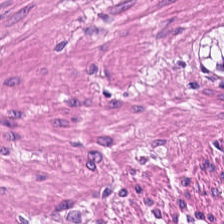Stain: H&E-stained tissue section.
Preparation: formalin-fixed paraffin-embedded section.
Classification: smooth-muscle tissue.
